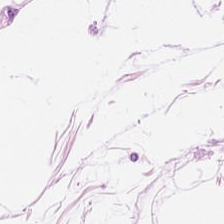The tissue type is adipocytes.
